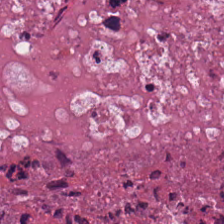Formalin-fixed paraffin-embedded section. Whole-slide-image patch. H&E stain. This field is necrotic debris.
